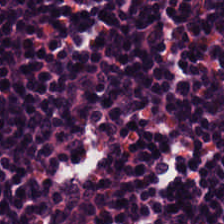0.5 µm per pixel · hematoxylin-and-eosin stained section · 224×224 px tile. Q: Classify this patch.
A: It is lymphocyte aggregate.
